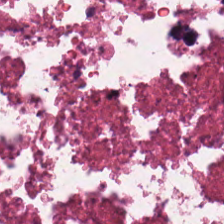224×224 px patch. Hematoxylin and eosin.
Tissue type — cellular debris.
